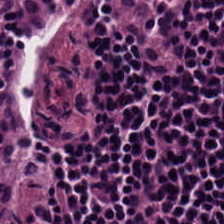Hematoxylin and eosin.
Q: What tissue is shown?
A: Lymphocytic infiltrate.
